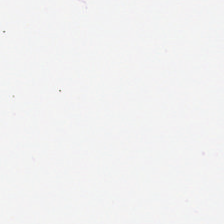Hematoxylin-and-eosin stained section — Background.
